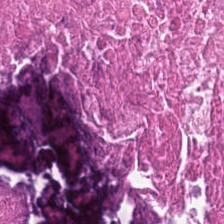Hematoxylin-and-eosin stained section.
Histology → necrotic debris.
